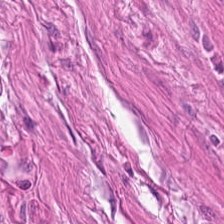Stain: H&E-stained tissue section.
Tissue type: smooth-muscle tissue.
